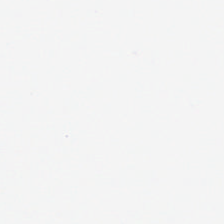H&E. 224×224 px tile — {"content": "no tissue"}
